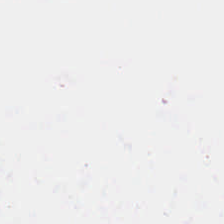H&E-stained tissue section. Q: What is shown here?
A: This is background.
